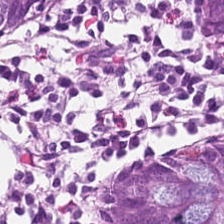H&E. Finding → normal colon mucosa.
